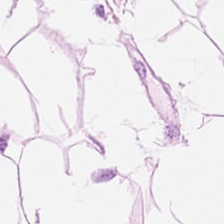Q: Identify the tissue.
A: Adipose tissue.
